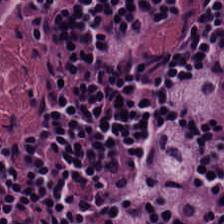Hematoxylin and eosin — Tissue class = lymphocytic infiltrate.
